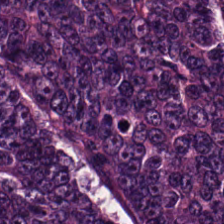Hematoxylin and eosin. 0.5 µm per pixel. {"tissue_type": "adenocarcinoma"}
